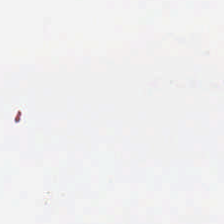FFPE · brightfield microscopy · H&E-stained tissue section. The classification is empty background.
